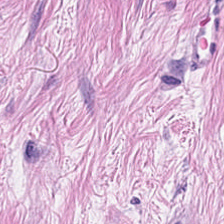Hematoxylin-and-eosin stained section. 0.5 microns per pixel — The tissue here is desmoplastic stroma.
